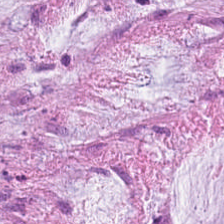Predominantly mucus.
